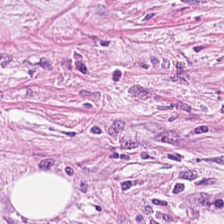Tissue = cancer-associated stroma.
